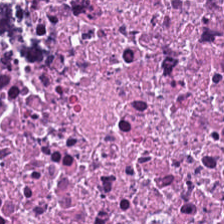Finding — necrotic debris.
